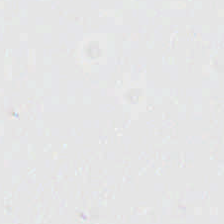Q: What is shown in this field?
A: It is empty background.
